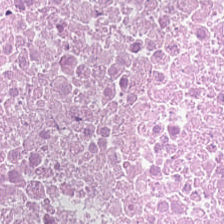Hematoxylin-and-eosin stained section. 0.5 µm/px. Tissue class = debris.
